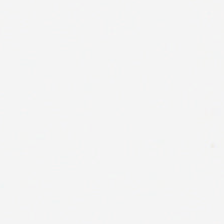H&E stain. This patch shows background.
